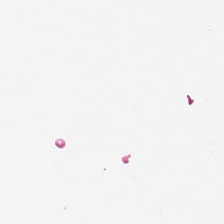Field content: no tissue.
